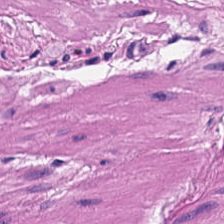Showing muscularis.
